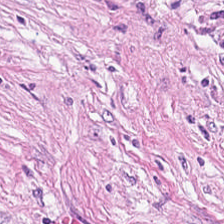Hematoxylin-and-eosin stained section.
Q: Classify this patch.
A: Desmoplastic stroma.
